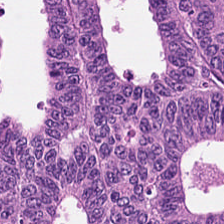0.5 µm/px · hematoxylin and eosin. Predominant tissue — malignant epithelium.
